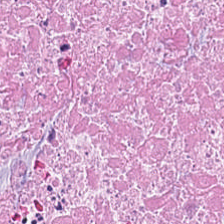FFPE. Hematoxylin and eosin.
The tissue type is debris.
